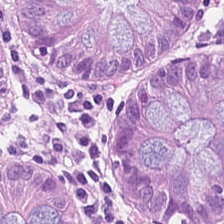224×224 px tile; H&E-stained tissue section; 20× equivalent magnification.
Predominant tissue = non-neoplastic colon mucosa.
